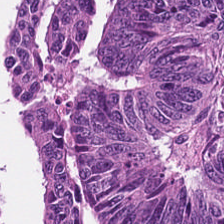Hematoxylin-and-eosin stained section — This patch shows tumor epithelium.
